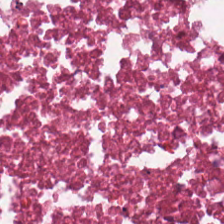This patch shows cellular debris.
